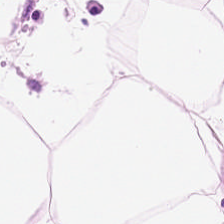H&E stain.
Adipose.
